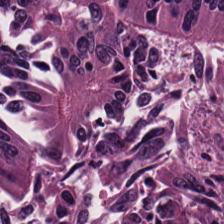Hematoxylin and eosin.
This field is colorectal adenocarcinoma.
